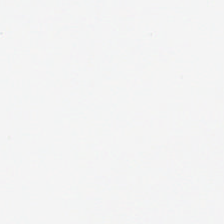This patch shows no tissue.
